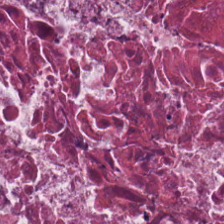H&E stain; WSI patch.
This field is debris.
